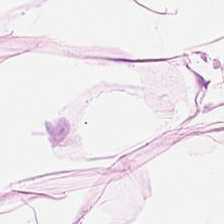224×224 px patch. Hematoxylin-and-eosin stained section. The tissue class is adipocytes.
